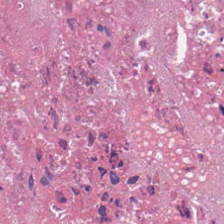224×224 px patch; 0.5 µm/px; hematoxylin-and-eosin stained section. The predominant tissue is necrotic debris.
